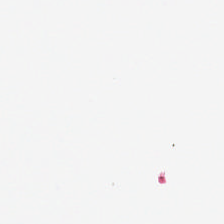H&E · whole-slide-image patch.
Q: What does this patch show?
A: It is background (no tissue).
